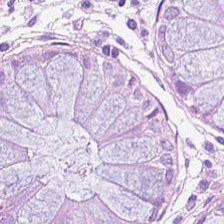Hematoxylin and eosin · 20× equivalent magnification. Normal colon mucosa.
